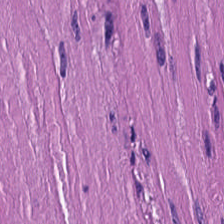WSI patch; H&E stain.
Q: What tissue type is shown here?
A: Muscularis.
